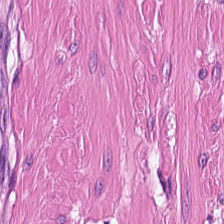Q: Identify the tissue.
A: The field shows smooth muscle.
